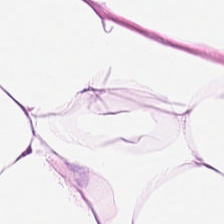Hematoxylin and eosin.
Impression → adipocytes.
